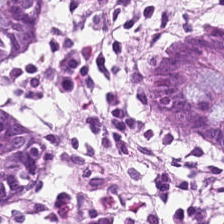20× equivalent magnification. FFPE tissue section. Hematoxylin-and-eosin stained section — Normal colonic mucosa.
